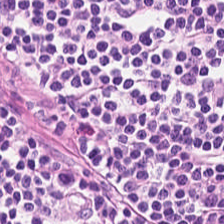This field is lymphocytic infiltrate.
